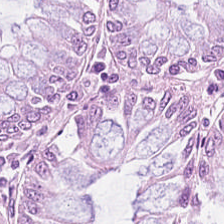H&E.
The tissue type is normal colonic mucosa.
